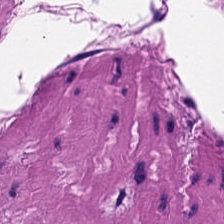{"tissue_type": "smooth-muscle tissue"}
